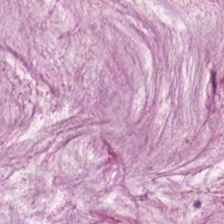0.5 microns per pixel; H&E stain — Predominantly mucus.
